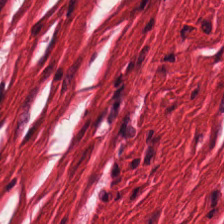FFPE. H&E stain. WSI patch.
Predominant tissue: smooth-muscle tissue.
